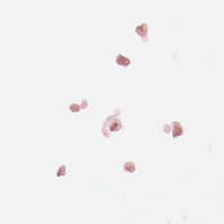H&E-stained tissue section; 0.5 µm/px — Finding — no tissue.
